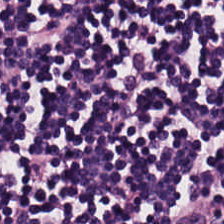Whole-slide-image patch; H&E-stained tissue section. Q: What is shown here?
A: Lymphocytes.
